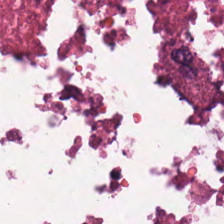Formalin-fixed paraffin-embedded section; hematoxylin-and-eosin stained section.
Histology — necrotic debris.
